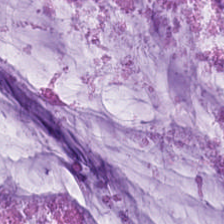Hematoxylin-and-eosin stained section.
Tissue class: extracellular mucin.
